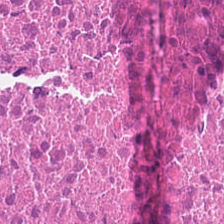Hematoxylin and eosin. The tissue here is debris.
